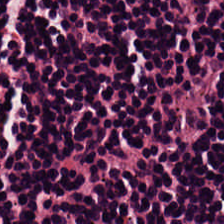H&E stain. The tissue here is lymphocytic infiltrate.
